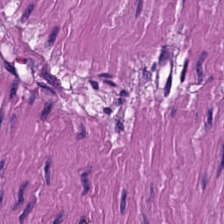Q: What tissue type is shown here?
A: This is smooth-muscle tissue.
